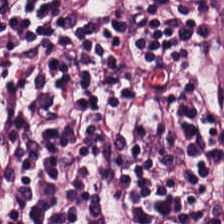Hematoxylin and eosin. 20× equivalent magnification. Q: What tissue is shown?
A: This is lymphoid infiltrate.
